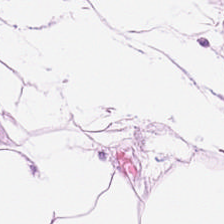Hematoxylin-and-eosin stained section.
Tissue type: fat tissue.
